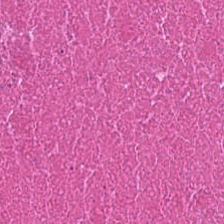Hematoxylin and eosin — Predominant tissue — debris.
